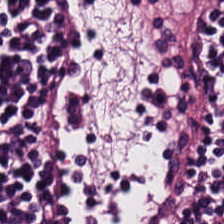Stain: hematoxylin and eosin.
Tile size: 224×224 pixel tile.
Tissue: lymphocytic infiltrate.
